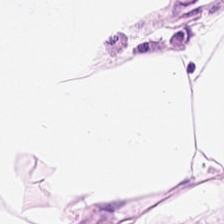H&E-stained tissue section.
Classification = adipose tissue.
